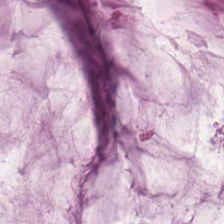Hematoxylin and eosin. The tissue class is mucin.
